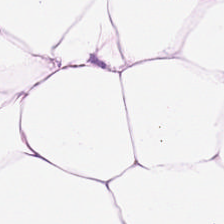H&E-stained tissue section. The predominant tissue is adipose.
